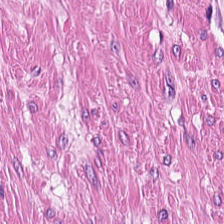Predominantly muscularis.
